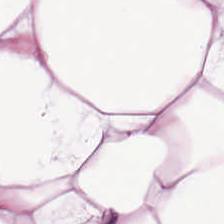Stain: H&E stain.
Tile size: 224×224 px tile.
Preparation: FFPE tissue section.
Predominant tissue: adipocytes.
